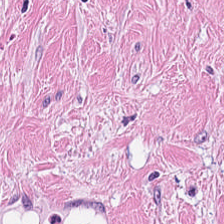H&E-stained tissue section. The tissue class is cancer-associated stroma.
